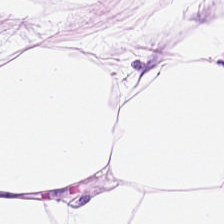Hematoxylin-and-eosin stained section. Predominantly adipose tissue.
